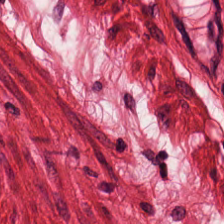Stain: H&E.
Tile size: 224×224 pixel tile.
Tissue type: smooth muscle.
